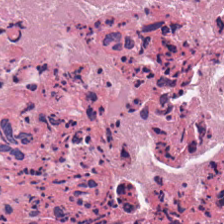Stain: H&E-stained tissue section.
Tissue type: cellular debris.
